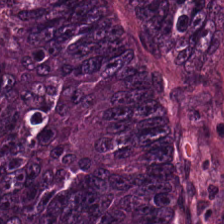Hematoxylin-and-eosin stained section. 224×224 pixel tile — Malignant epithelium.
